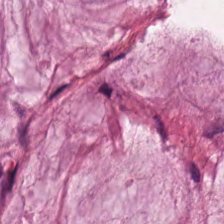Hematoxylin and eosin. The classification is mucus.
